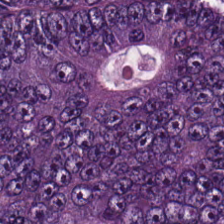H&E-stained tissue section — Showing colorectal adenocarcinoma.
